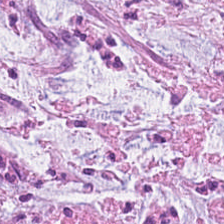H&E-stained tissue section.
Q: What tissue is shown?
A: Tumor-associated stroma.
